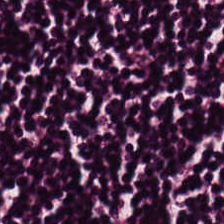H&E-stained tissue section — Tissue class: lymphoid infiltrate.
